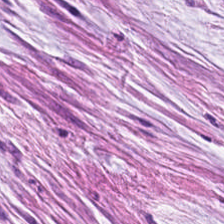0.5 microns per pixel · FFPE · hematoxylin and eosin. The tissue type is mucus.
